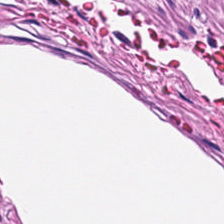Q: What is shown here?
A: Smooth muscle.
